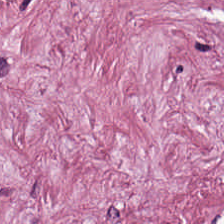Hematoxylin and eosin — This field is desmoplastic stroma.
